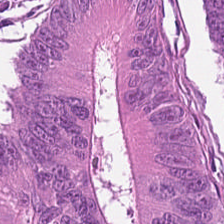The predominant tissue is malignant epithelium.
